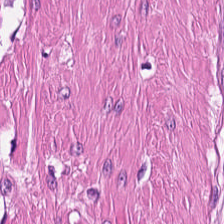Hematoxylin-and-eosin stained section.
Q: Classify this patch.
A: This is muscularis.
